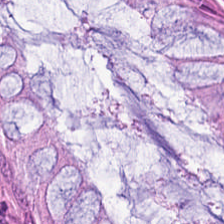Hematoxylin and eosin · brightfield microscopy.
This field is non-neoplastic colon mucosa.
